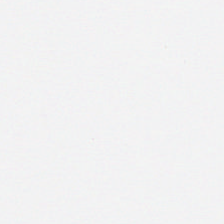H&E.
No tissue present; background only.
